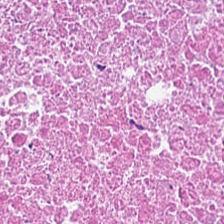H&E-stained tissue section showing cellular debris.
